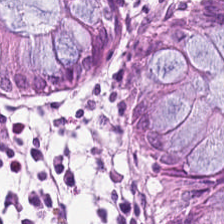Showing normal colonic mucosa.
